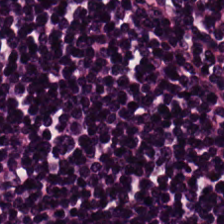H&E-stained tissue section. Tissue = lymphocytic infiltrate.
